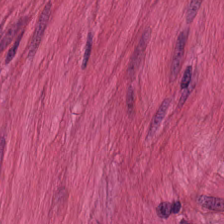Formalin-fixed paraffin-embedded section; 224×224 px patch; H&E-stained tissue section. Histology — muscularis.
